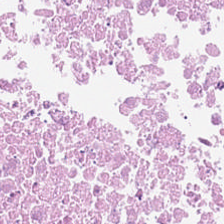H&E-stained tissue section · 224×224 px tile · FFPE.
Tissue class = debris.
